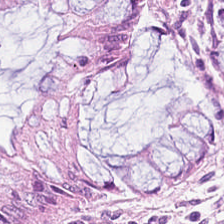FFPE. H&E. Brightfield microscopy.
Showing non-neoplastic colon mucosa.
